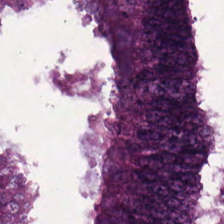Finding → malignant epithelium.
